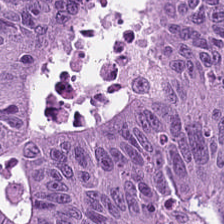Showing colorectal adenocarcinoma.
